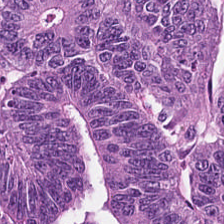H&E-stained tissue section — Tissue class = colorectal adenocarcinoma.
